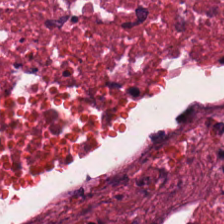Histology → necrotic debris.
